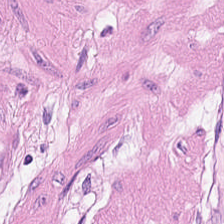Hematoxylin-and-eosin stained section — Predominant tissue: smooth muscle.
